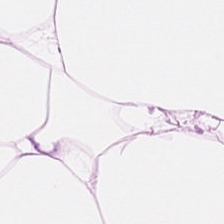H&E stain — Q: What tissue is shown?
A: Adipose.
